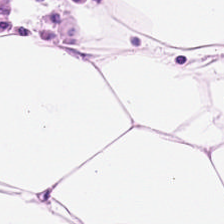This patch shows fat tissue.
